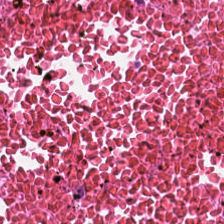H&E-stained tissue section showing cellular debris.
